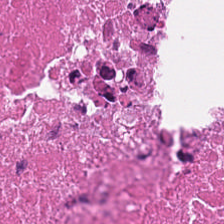Tissue type: debris.
